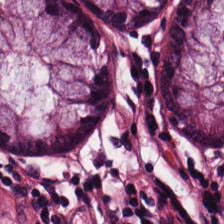Hematoxylin-and-eosin stained section.
The predominant tissue is benign colonic mucosa.
